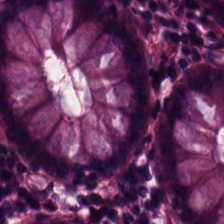Hematoxylin-and-eosin stained section — This field is benign colonic mucosa.
